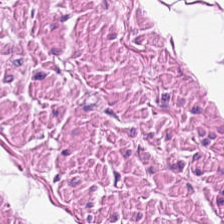Finding → smooth-muscle tissue.
